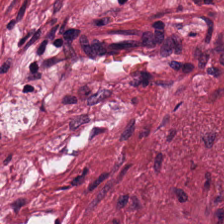H&E stain — Tumor-associated stroma.
